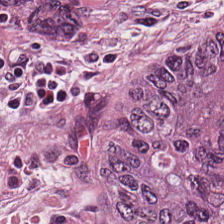224×224 pixel tile; hematoxylin and eosin — Tissue class = colorectal adenocarcinoma.
